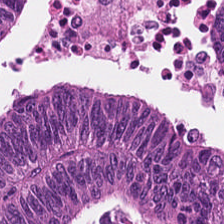0.5 µm per pixel · hematoxylin and eosin · 224×224 pixel tile. This field is tumor epithelium.
